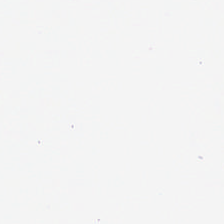20× equivalent magnification. H&E-stained tissue section. Empty field — empty background.
